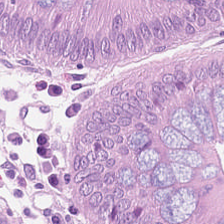The tissue type is non-neoplastic colon mucosa.
